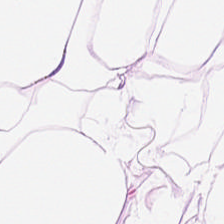224×224 px tile. Hematoxylin and eosin.
Tissue class: adipocytes.
